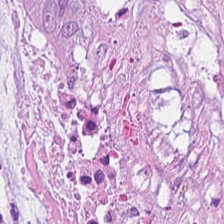H&E. Tissue class — extracellular mucin.
